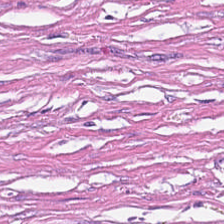20× equivalent magnification. Hematoxylin-and-eosin stained section. Tumor-associated stroma.
